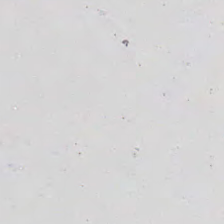Finding — no tissue.
